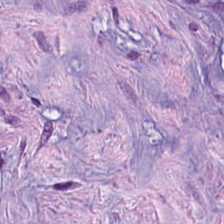H&E stain.
Impression — desmoplastic stroma.
